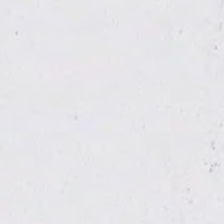Classification = background (no tissue).
